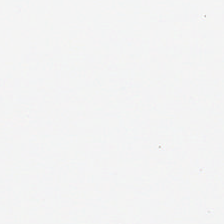Hematoxylin-and-eosin stained section. {"content": "background (no tissue)"}
